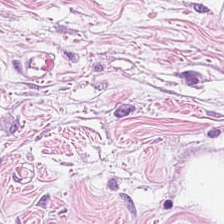Adipose tissue.
